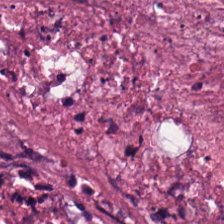Tissue = necrotic debris.
